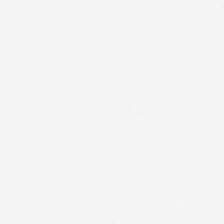This field is background (no tissue).
